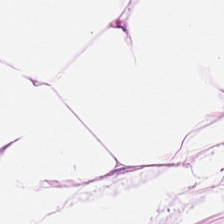Hematoxylin and eosin. FFPE.
The predominant tissue is adipocytes.
